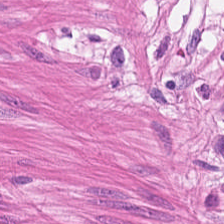Brightfield. H&E stain. Formalin-fixed paraffin-embedded section. Tissue class — smooth-muscle tissue.
